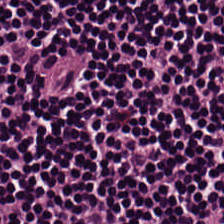Hematoxylin-and-eosin stained section — {"tissue_type": "lymphocytes"}
